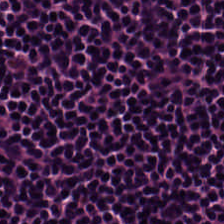H&E; 224×224 px tile — Lymphocytic infiltrate.
